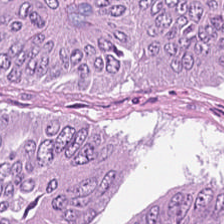Stain: hematoxylin and eosin.
Tissue: tumor epithelium.
